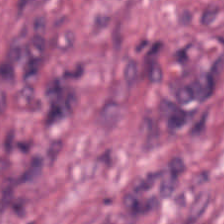H&E. Q: What is shown here?
A: Cancer-associated stroma.
